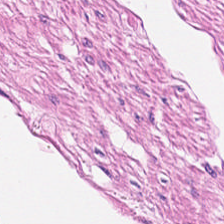Tissue type: smooth-muscle tissue.
